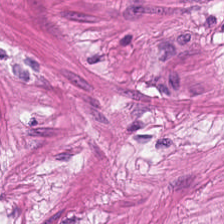H&E patch showing smooth muscle.
